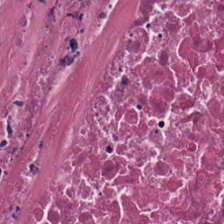H&E stain.
Tissue type: necrotic debris.
